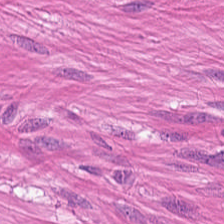Hematoxylin-and-eosin stained section; 0.5 microns per pixel. Q: What is shown in this field?
A: This is smooth-muscle tissue.
